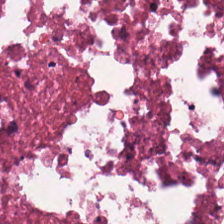The tissue is debris.
